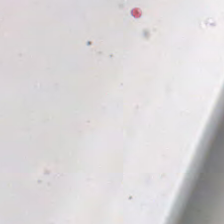H&E stain. This field is background (no tissue).
